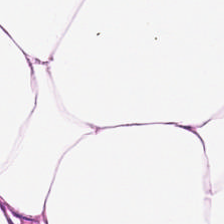This field is adipocytes.
